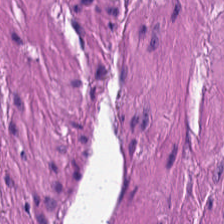Hematoxylin-and-eosin stained section — This field is smooth muscle.
